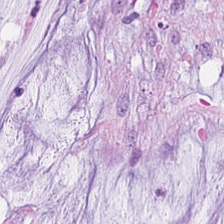Brightfield; hematoxylin-and-eosin stained section.
Predominantly extracellular mucin.
